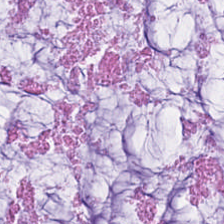Formalin-fixed paraffin-embedded section. H&E. This field is mucus.
